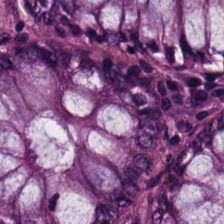H&E-stained tissue section — Normal colonic mucosa.
